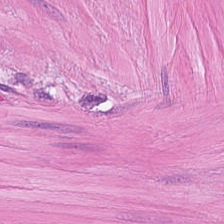H&E — Q: Identify the tissue.
A: Smooth-muscle tissue.
